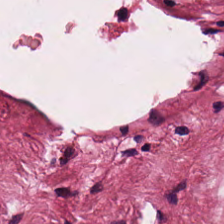Stain: H&E stain.
Tissue class: tumor stroma.
